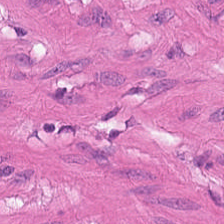224×224 px tile; H&E stain — The tissue here is muscularis.
